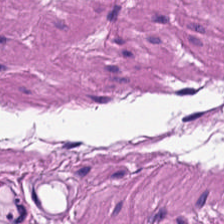H&E.
This field is smooth-muscle tissue.
